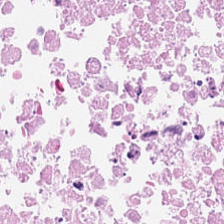FFPE. H&E-stained tissue section.
Predominantly debris.
